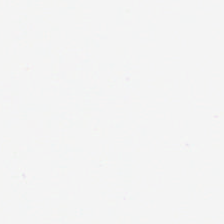Whole-slide-image patch; H&E. Field content = background (no tissue).
